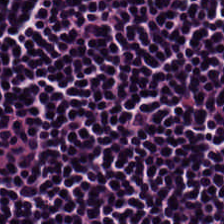Hematoxylin-and-eosin stained section — Classification: lymphocytic infiltrate.
